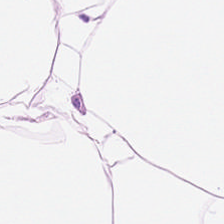0.5 microns per pixel. H&E. {"tissue_type": "adipose tissue"}
